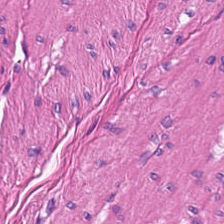Tissue = smooth muscle.
